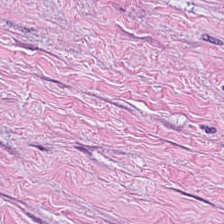Stain: H&E stain.
Classification: desmoplastic stroma.
